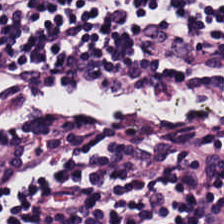224×224 px tile. H&E-stained tissue section. Formalin-fixed paraffin-embedded section — Q: What is shown here?
A: It is lymphocytic infiltrate.
